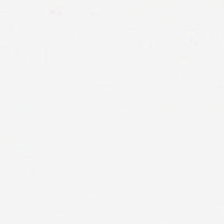Hematoxylin and eosin. 224×224 pixel tile. Empty background.
